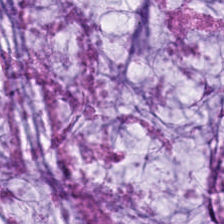H&E-stained tissue section. Brightfield.
Predominantly mucus.
